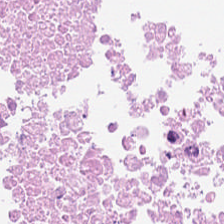H&E — This patch shows debris.
